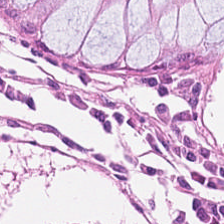H&E stain · whole-slide-image patch · FFPE.
This field is non-neoplastic colon mucosa.
